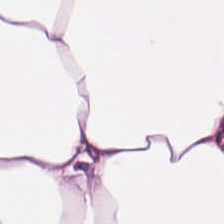0.5 microns per pixel · H&E stain. Showing adipocytes.
